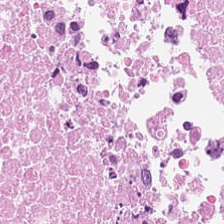Showing debris.
